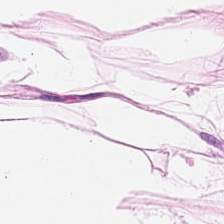Stain: hematoxylin-and-eosin stained section.
Tissue class: fat tissue.
